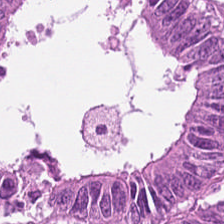The predominant tissue is colorectal adenocarcinoma.
